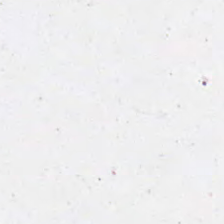Hematoxylin and eosin — The field content is background.
